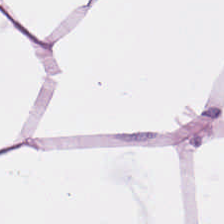{"tissue_type": "adipocytes"}
